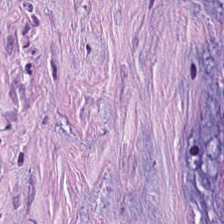H&E-stained tissue section showing desmoplastic stroma.
